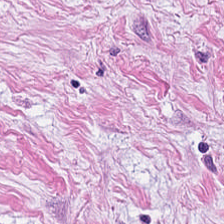The tissue is tumor stroma.
